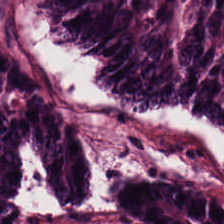H&E-stained tissue section · formalin-fixed paraffin-embedded section — Predominantly colorectal adenocarcinoma epithelium.
